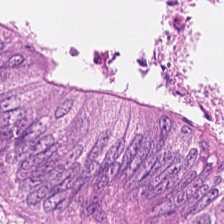Formalin-fixed paraffin-embedded section. Hematoxylin-and-eosin stained section. Brightfield — Tissue type — malignant epithelium.
